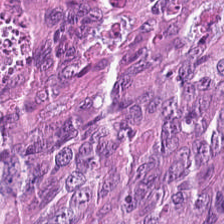Brightfield microscopy · hematoxylin and eosin · 224×224 pixel tile — Predominant tissue — colorectal adenocarcinoma epithelium.
